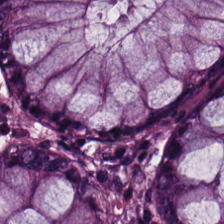H&E. The predominant tissue is benign colonic mucosa.
